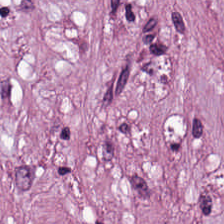Brightfield; FFPE; hematoxylin-and-eosin stained section.
Histology → cancer-associated stroma.
